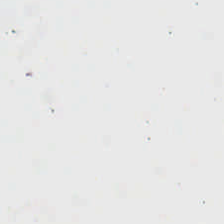{"content": "no tissue"}
